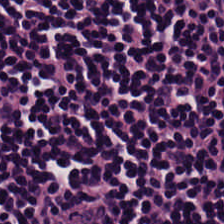Stain: hematoxylin and eosin.
Classification: lymphocyte aggregate.
